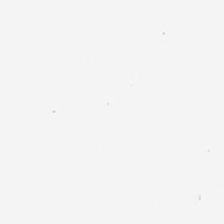Hematoxylin-and-eosin stained section · 0.5 microns per pixel.
This field is background (no tissue).
